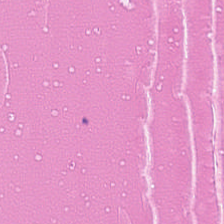FFPE. H&E-stained tissue section — Histology — necrotic debris.
